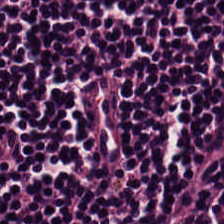Q: What is the predominant tissue type?
A: This is lymphoid infiltrate.
